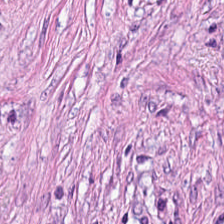H&E-stained tissue section.
Impression — tumor stroma.
